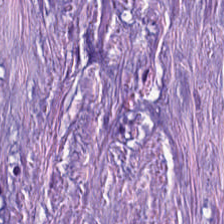Impression — tumor stroma.
